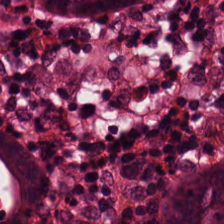The tissue type is normal colon mucosa.
